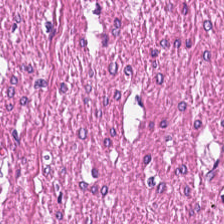Hematoxylin and eosin · 224×224 px patch · 0.5 µm/px. Tissue class — smooth-muscle tissue.
